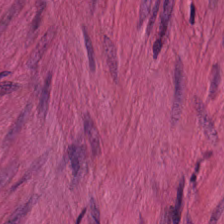Hematoxylin-and-eosin stained section · formalin-fixed paraffin-embedded section. Predominantly smooth muscle.
